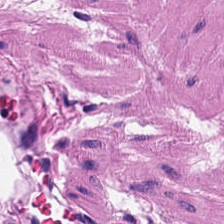Brightfield · hematoxylin-and-eosin stained section — This patch shows smooth-muscle tissue.
